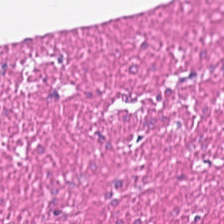FFPE · hematoxylin and eosin · 20× equivalent magnification.
Q: Identify the tissue.
A: This is muscularis.
